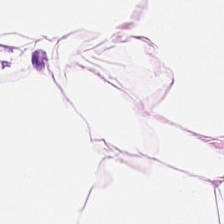H&E.
{"tissue_type": "adipose"}
